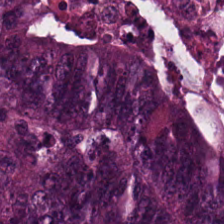H&E — Tissue type = adenocarcinoma.
